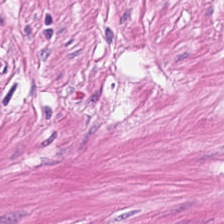Stain: hematoxylin-and-eosin stained section.
Tissue: smooth-muscle tissue.
